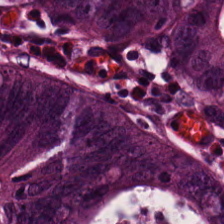H&E-stained section; the field shows adenocarcinoma.
